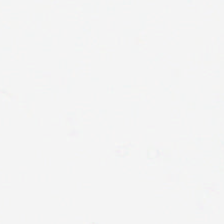H&E stain. 224×224 px patch. Brightfield microscopy.
{"content": "background (no tissue)"}
